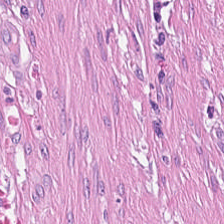Showing tumor stroma.
